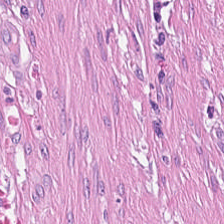Showing tumor stroma.
